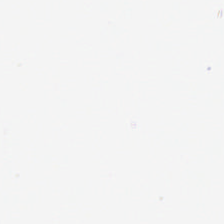Content — background (no tissue).
